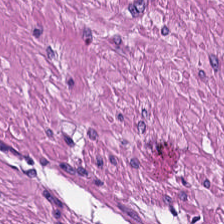Q: Classify this patch.
A: It is muscularis.
